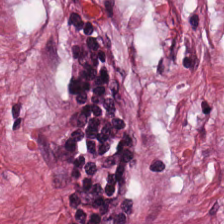Q: What is shown in this field?
A: The field shows desmoplastic stroma.
